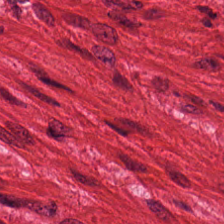Formalin-fixed paraffin-embedded section · hematoxylin-and-eosin stained section — Muscularis.
